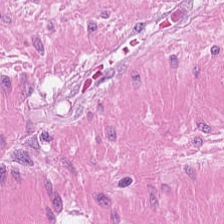Hematoxylin-and-eosin stained section. 0.5 µm/px.
The classification is smooth-muscle tissue.
